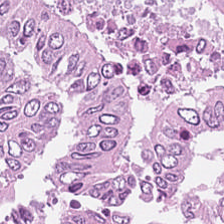The tissue type is tumor epithelium.
